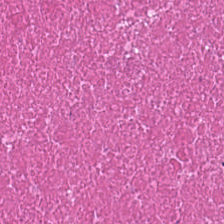Tissue class: debris.
